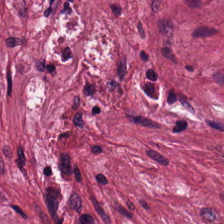Predominantly desmoplastic stroma.
